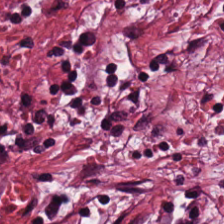Hematoxylin and eosin · 224×224 pixel tile — Histology → tumor-associated stroma.
